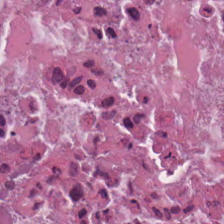This patch shows debris.
